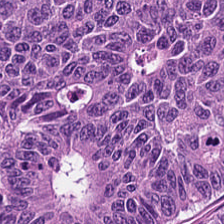H&E-stained tissue section. 0.5 microns per pixel. Q: What tissue type is shown here?
A: It is colorectal adenocarcinoma epithelium.
